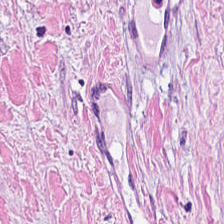Hematoxylin-and-eosin section: tumor stroma.
